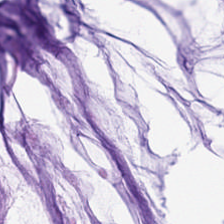H&E-stained tissue section. FFPE — The tissue here is mucus.
